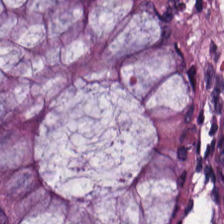Formalin-fixed paraffin-embedded section; WSI patch; hematoxylin-and-eosin stained section — The tissue here is benign colonic mucosa.
